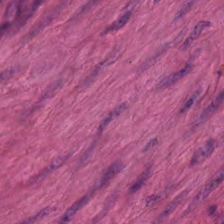Stain: H&E-stained tissue section.
Predominant tissue: smooth-muscle tissue.
